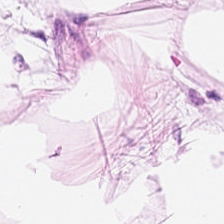Hematoxylin and eosin; brightfield microscopy — Tissue type = fat tissue.
